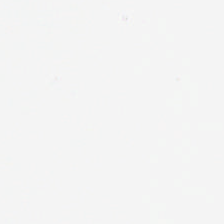Hematoxylin and eosin. Classification = no tissue.
